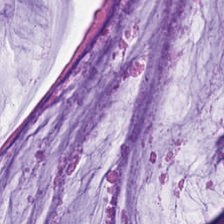Q: Classify this patch.
A: Mucin.
